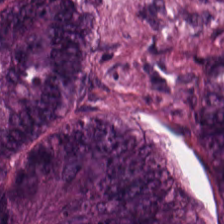H&E.
The tissue is tumor epithelium.
